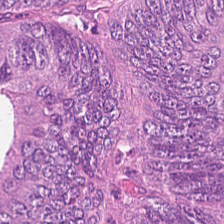Brightfield. H&E — The tissue here is colorectal adenocarcinoma epithelium.
